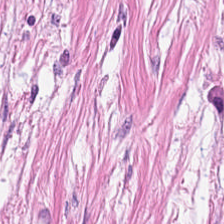Hematoxylin and eosin; 0.5 microns per pixel; 224×224 px patch — The tissue is desmoplastic stroma.
